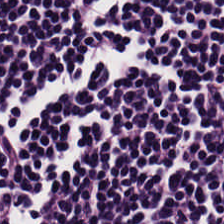Hematoxylin and eosin — {"tissue_type": "lymphocytic infiltrate"}
